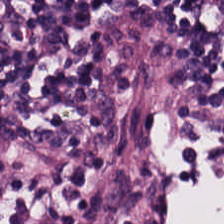H&E. 0.5 µm/px.
The predominant tissue is lymphocytes.
